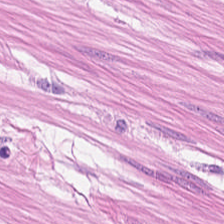0.5 µm/px · 224×224 px patch · hematoxylin and eosin. Tissue type — smooth-muscle tissue.
